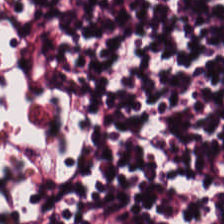Hematoxylin-and-eosin stained section. Tissue: lymphocytes.
